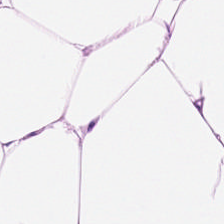Stain: hematoxylin and eosin.
Tissue: adipocytes.
